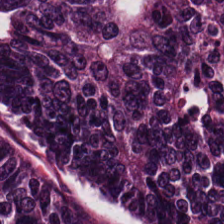0.5 µm per pixel; FFPE tissue section; H&E stain. Q: What tissue is shown?
A: This is tumor epithelium.
